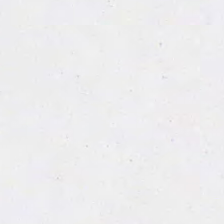Hematoxylin and eosin. Brightfield — Q: Classify this patch.
A: It is empty background.
